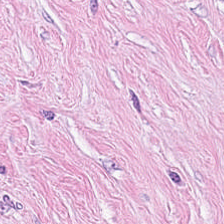H&E-stained tissue section.
This patch shows cancer-associated stroma.
